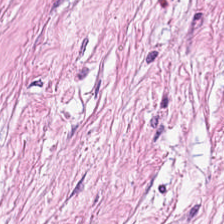Hematoxylin-and-eosin stained section. Q: What tissue is shown?
A: This is tumor-associated stroma.
